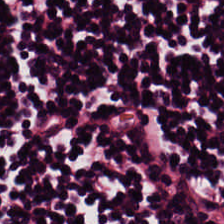Hematoxylin-and-eosin stained section.
Showing lymphoid infiltrate.
